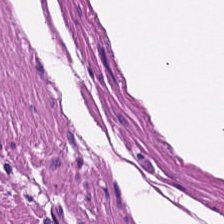Stain: H&E.
Tile size: 224×224 pixel tile.
Resolution: 0.5 µm per pixel.
Tissue class: smooth-muscle tissue.
